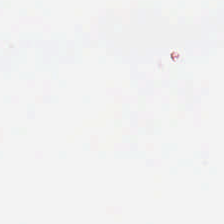Brightfield microscopy · H&E stain. Q: Classify this patch.
A: It is background.
